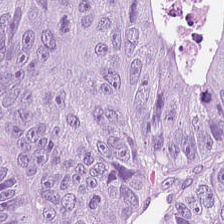Hematoxylin and eosin · brightfield microscopy. Tissue class: malignant epithelium.
